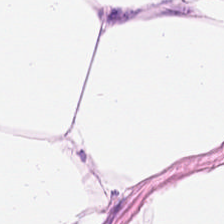Hematoxylin-and-eosin stained section — The predominant tissue is adipose tissue.
